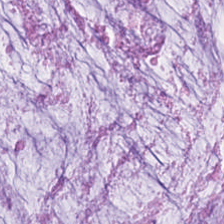Stain: hematoxylin-and-eosin stained section.
Predominant tissue: mucin.
